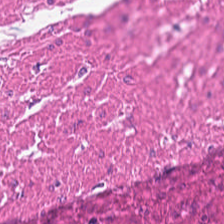Formalin-fixed paraffin-embedded section; H&E — Tissue class — smooth-muscle tissue.
